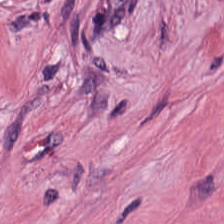224×224 px patch · H&E — Showing desmoplastic stroma.
